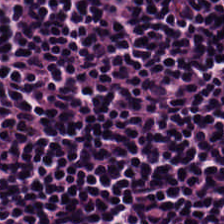H&E stain. The tissue here is lymphocytes.
